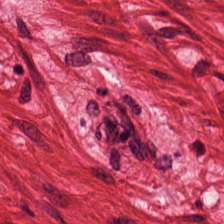Stain: hematoxylin and eosin.
Classification: muscularis.
